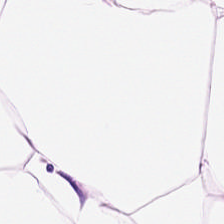{"tissue_type": "adipocytes"}
